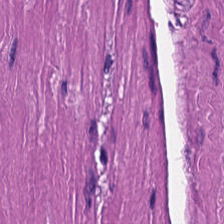0.5 microns per pixel. Brightfield microscopy. H&E — Finding — muscularis.
